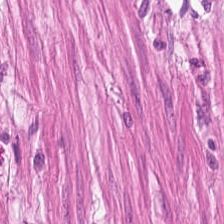Stain: H&E.
Preparation: FFPE.
Resolution: 20× equivalent magnification.
Tissue type: smooth muscle.
